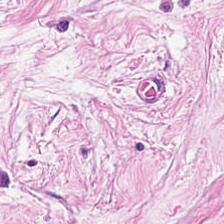Hematoxylin-and-eosin stained section. 224×224 px tile. Predominant tissue: tumor-associated stroma.
